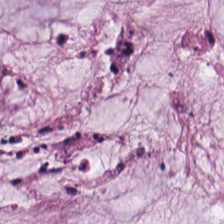0.5 µm/px; FFPE tissue section; H&E stain. Predominant tissue = mucin.
